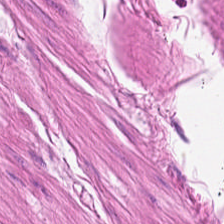0.5 µm per pixel. H&E. Tissue — smooth-muscle tissue.
